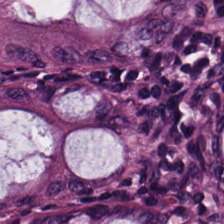The tissue here is benign colonic mucosa.
